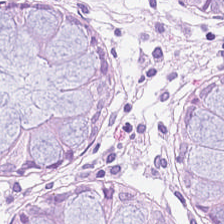H&E-stained tissue section. Q: What is shown in this field?
A: It is normal colonic mucosa.
